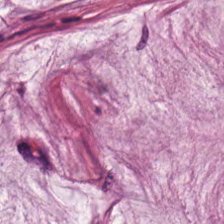Stain: H&E.
Preparation: FFPE.
Tissue: mucus.
